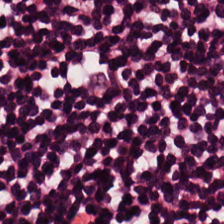H&E — lymphocytes.
